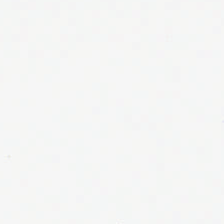Hematoxylin and eosin · 224×224 pixel tile. Background — no tissue in this field.
